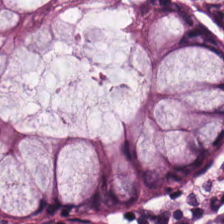Stain: hematoxylin and eosin.
Predominant tissue: benign colonic mucosa.
